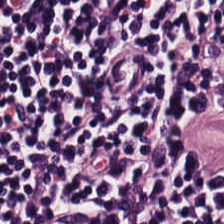224×224 px tile; hematoxylin-and-eosin stained section; brightfield — Q: What tissue is shown?
A: It is lymphocytes.
